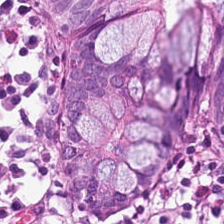H&E stain — The predominant tissue is non-neoplastic colon mucosa.
